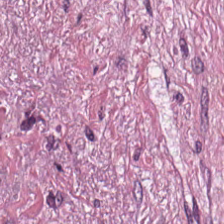H&E-stained tissue section; whole-slide-image patch. Q: What is shown here?
A: The field shows tumor stroma.
